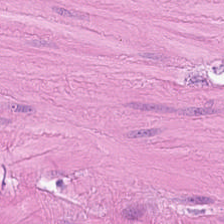H&E stain · brightfield.
Muscularis.
